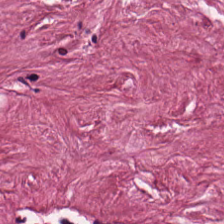H&E-stained tissue section. Q: What tissue type is shown here?
A: The field shows tumor stroma.
